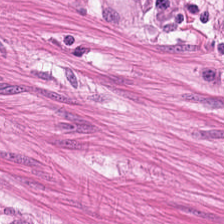Hematoxylin and eosin — Tissue: smooth muscle.
